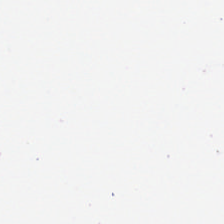Empty field — no tissue.
